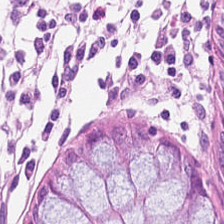H&E stain; 224×224 px tile; 20× equivalent magnification. Tissue class — benign colonic mucosa.
